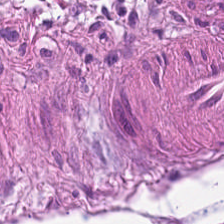Hematoxylin and eosin. 0.5 µm per pixel.
The tissue class is smooth-muscle tissue.
